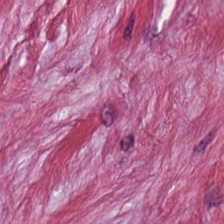H&E.
The predominant tissue is tumor stroma.
